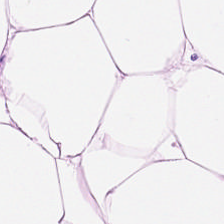H&E-stained tissue section.
Impression → adipose.
